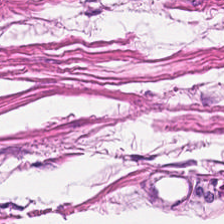0.5 µm per pixel; H&E stain.
Muscularis.
